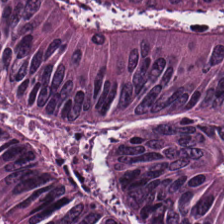Classification = tumor epithelium.
